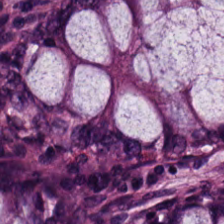Hematoxylin and eosin. Tissue type: normal colonic mucosa.
